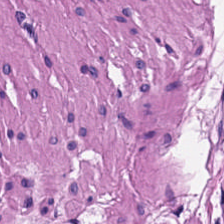H&E stain — This field is smooth-muscle tissue.
